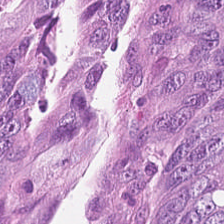Hematoxylin-and-eosin stained section. 20× equivalent magnification. Brightfield. This patch shows tumor epithelium.
